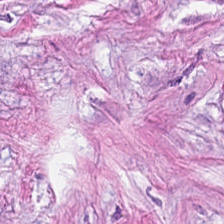Hematoxylin and eosin · 224×224 pixel tile — Q: Identify the tissue.
A: The field shows cancer-associated stroma.
